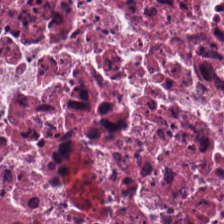Classification: necrotic debris.
